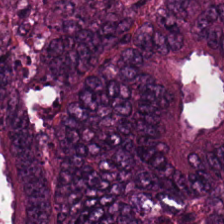224×224 px tile; 0.5 microns per pixel; hematoxylin and eosin — Showing tumor epithelium.
